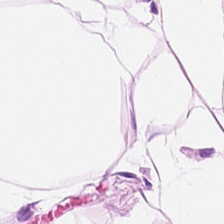Hematoxylin and eosin.
This patch shows adipocytes.
